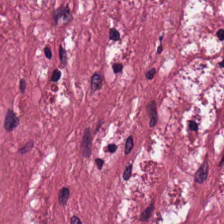Hematoxylin-and-eosin stained section.
Histology → tumor stroma.
